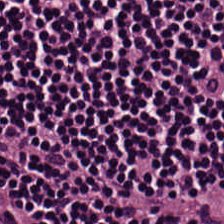This field is lymphoid infiltrate.
